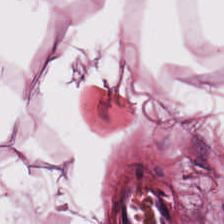H&E; FFPE; 224×224 px tile — The tissue here is adipose.
